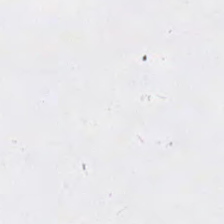Hematoxylin-and-eosin stained section — This patch shows no tissue.
